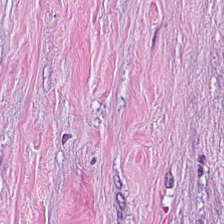H&E.
Finding — tumor-associated stroma.
